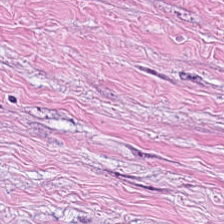Showing desmoplastic stroma.
